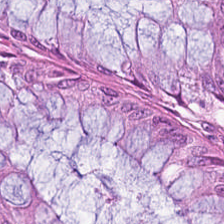0.5 microns per pixel · 224×224 pixel tile · hematoxylin and eosin — Q: What is shown in this field?
A: It is normal colonic mucosa.
